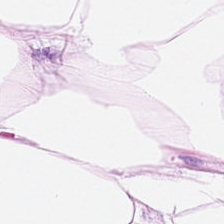Stain: hematoxylin and eosin.
Classification: adipocytes.
